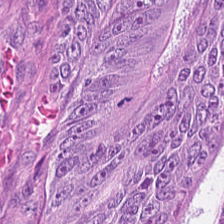Stain: H&E.
Tissue: colorectal adenocarcinoma.
